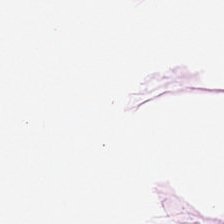H&E; brightfield microscopy.
Predominantly adipose tissue.
